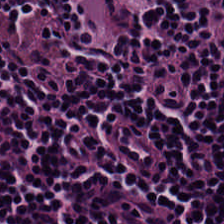224×224 px patch; H&E-stained tissue section; 0.5 µm per pixel.
Classification = lymphoid infiltrate.
